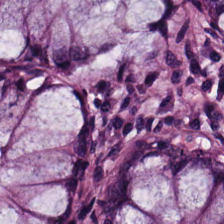Hematoxylin-and-eosin stained section.
Tissue type — non-neoplastic colon mucosa.
